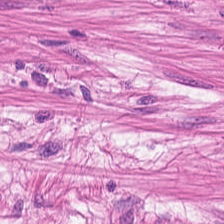H&E.
This field is muscularis.
